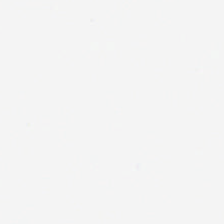H&E-stained tissue section; 224×224 px patch.
Field content = background.
